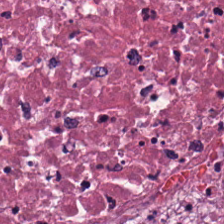Whole-slide-image patch · FFPE · hematoxylin-and-eosin stained section.
This patch shows debris.
